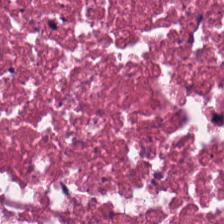Stain: H&E-stained tissue section.
Predominant tissue: debris.
